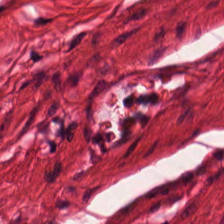Formalin-fixed paraffin-embedded section · H&E-stained tissue section — This field is muscularis.
